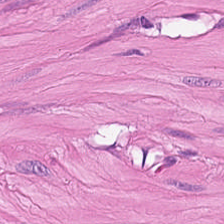H&E-stained tissue section · whole-slide-image patch.
The classification is smooth muscle.
